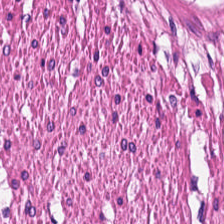Tissue = muscularis.
